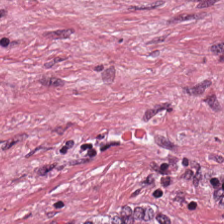H&E-stained tissue section · brightfield microscopy.
Impression — cancer-associated stroma.
